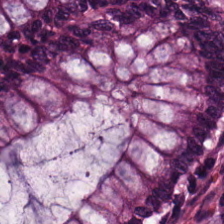H&E. Predominantly normal colonic mucosa.
